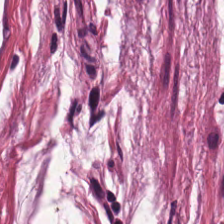H&E.
Mucin.
